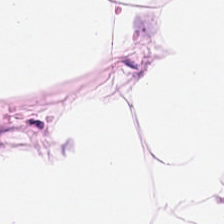Stain: H&E.
Tissue type: adipose tissue.
